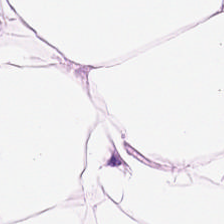This field is fat tissue.
